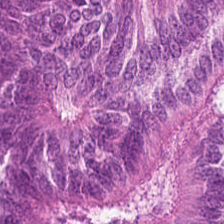Hematoxylin and eosin. The predominant tissue is colorectal adenocarcinoma.
